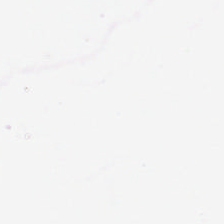224×224 pixel tile. H&E stain.
Classification — background (no tissue).
